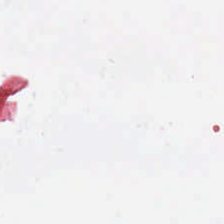H&E stain.
Classification = no tissue.
